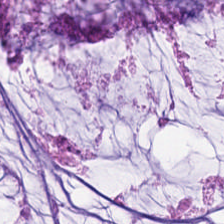Formalin-fixed paraffin-embedded section · H&E stain — Tissue type = mucin.
